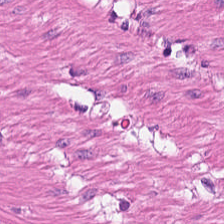The predominant tissue is muscularis.
